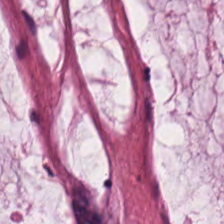H&E — mucus.
